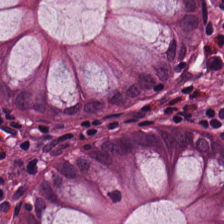Tissue type = normal colonic mucosa.
